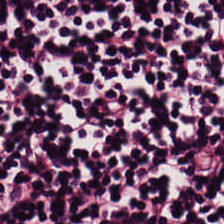FFPE tissue section · hematoxylin and eosin. The predominant tissue is lymphocytic infiltrate.
